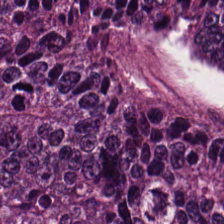H&E.
Classification: malignant epithelium.
